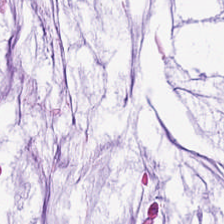Stain: H&E.
Resolution: 0.5 µm/px.
Classification: mucus.
